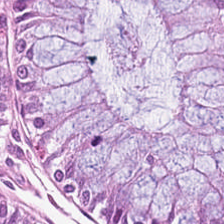H&E-stained tissue section showing normal colon mucosa.
